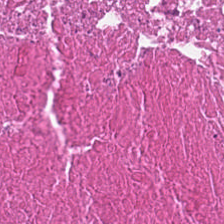Q: What tissue type is shown here?
A: It is necrotic debris.
